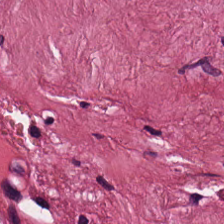This patch shows desmoplastic stroma.
